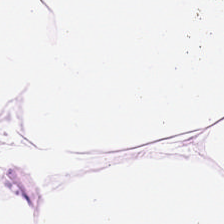H&E-stained tissue section. This patch shows adipose.
